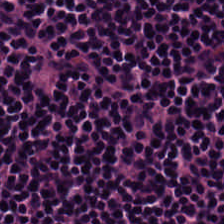H&E-stained tissue section — Predominantly lymphocytic infiltrate.
